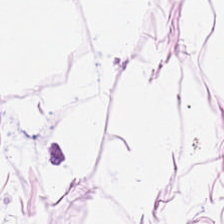H&E.
This patch shows fat tissue.
